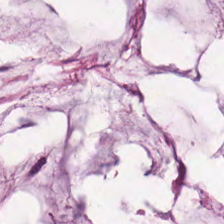Stain: H&E stain.
Classification: mucin.
